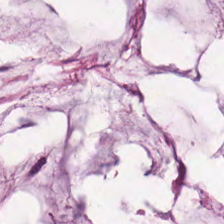Stain: H&E stain.
Classification: mucin.
